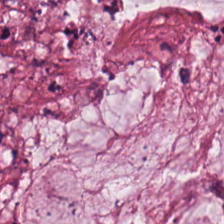H&E. 224×224 px patch — Q: Classify this patch.
A: This is extracellular mucin.
